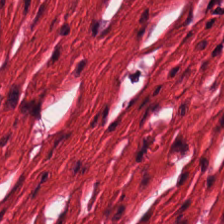Stain: H&E stain.
Tissue class: muscularis.
